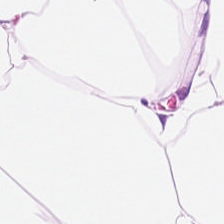H&E. Showing adipose tissue.
